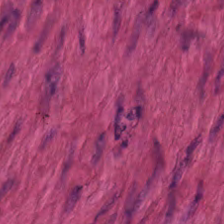224×224 px patch; H&E stain. Q: What does this patch show?
A: Muscularis.
